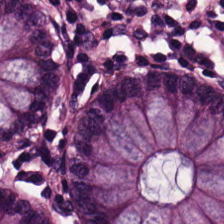This field is normal colonic mucosa.
